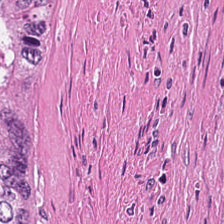Hematoxylin-and-eosin stained section — Q: Classify this patch.
A: Debris.
